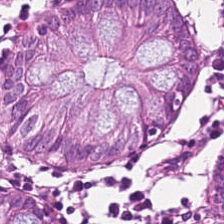224×224 px tile. H&E stain — Q: What is shown here?
A: It is normal colonic mucosa.
